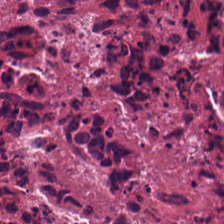This patch shows cellular debris.
